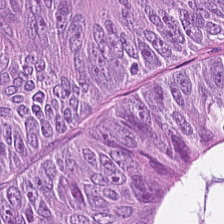H&E.
Q: What does this patch show?
A: Colorectal adenocarcinoma epithelium.
